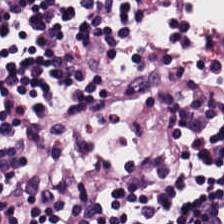FFPE tissue section · H&E stain. The predominant tissue is lymphocytes.
